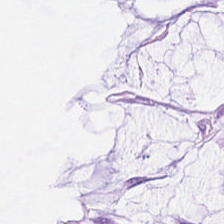H&E stain. Predominant tissue = mucus.
